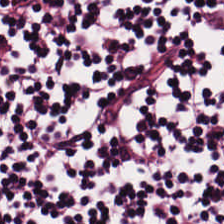Hematoxylin-and-eosin stained section. Predominantly lymphocyte aggregate.
